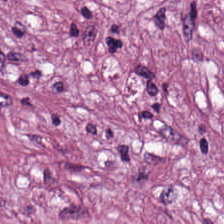WSI patch; H&E-stained tissue section — {"tissue_type": "tumor-associated stroma"}
